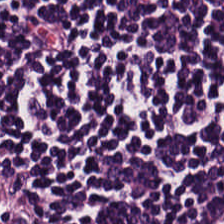The predominant tissue is lymphocytic infiltrate.
